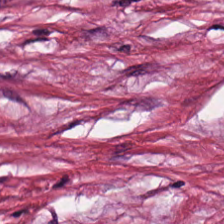Classification: cancer-associated stroma.
